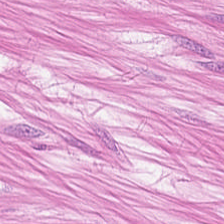FFPE tissue section; hematoxylin and eosin. Classification — smooth-muscle tissue.
